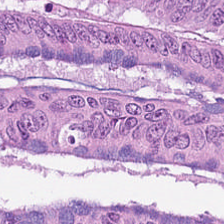Predominantly colorectal adenocarcinoma epithelium.
